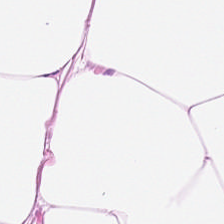Q: What tissue type is shown here?
A: This is adipose tissue.
